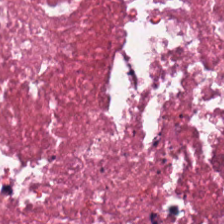Stain: hematoxylin and eosin.
Predominant tissue: cellular debris.
